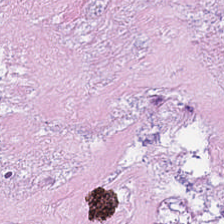Hematoxylin-and-eosin stained section — This patch shows debris.
